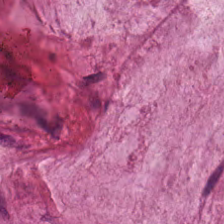H&E.
Q: What is shown here?
A: Mucus.
